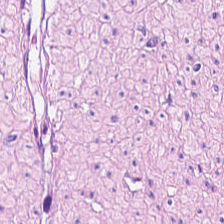Finding → smooth-muscle tissue.
